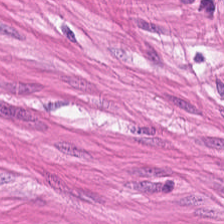Stain: hematoxylin-and-eosin stained section.
Tissue type: muscularis.
